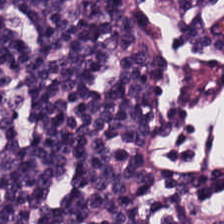Stain: H&E.
Preparation: FFPE tissue section.
Acquisition: brightfield.
Predominant tissue: lymphoid infiltrate.
